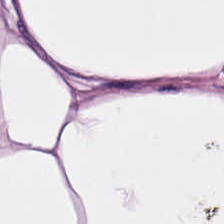This field is adipose.
